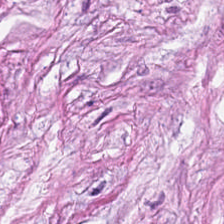Whole-slide-image patch. H&E-stained tissue section. 0.5 µm/px.
Predominant tissue = tumor stroma.
